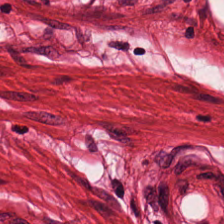FFPE; H&E-stained tissue section.
Tissue — muscularis.
